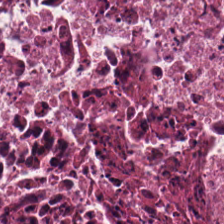Stain: hematoxylin-and-eosin stained section.
Tissue class: cellular debris.
